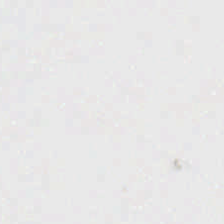Hematoxylin and eosin · 224×224 px tile · FFPE tissue section.
This patch shows background.
